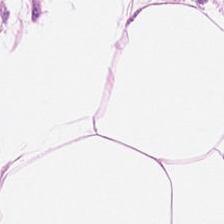Histology → fat tissue.
